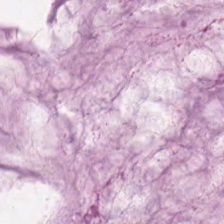Hematoxylin and eosin · formalin-fixed paraffin-embedded section.
Finding → extracellular mucin.
